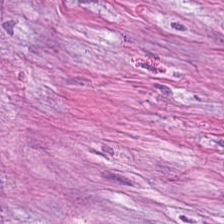224×224 px tile; H&E stain.
The tissue here is desmoplastic stroma.
